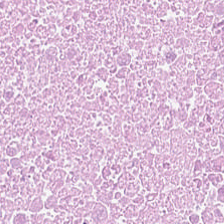224×224 px patch. WSI patch. Hematoxylin and eosin — Q: What is shown here?
A: The field shows cellular debris.
